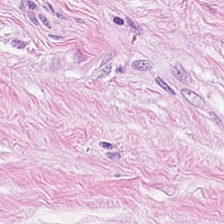Hematoxylin and eosin — This field is cancer-associated stroma.
